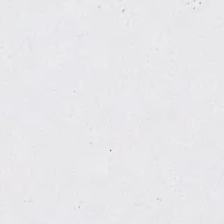0.5 µm per pixel · H&E.
Content = background.
